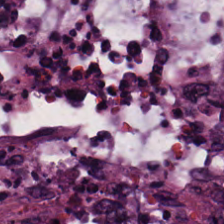Q: What is shown in this field?
A: This is malignant epithelium.
